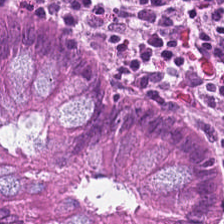H&E-stained tissue section. Q: What tissue is shown?
A: This is non-neoplastic colon mucosa.
